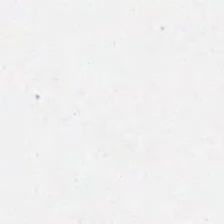H&E-stained tissue section. 20× equivalent magnification. WSI patch.
Classification: background (no tissue).
